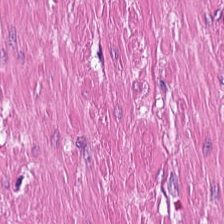Tissue class = muscularis.
